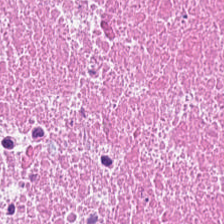H&E.
Tissue class — cellular debris.
